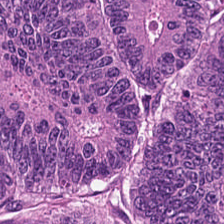FFPE tissue section; hematoxylin and eosin — Colorectal adenocarcinoma.
